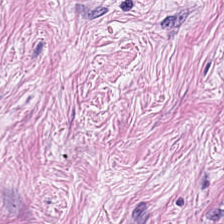H&E-stained tissue section. WSI patch — {"tissue_type": "tumor-associated stroma"}
